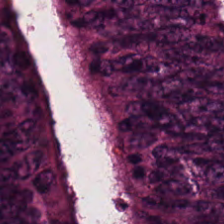Hematoxylin-and-eosin stained section — Showing adenocarcinoma.
